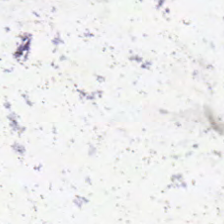WSI patch; H&E — Classification = empty background.
